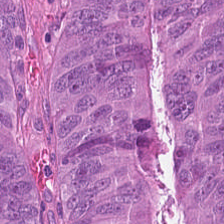H&E stain. Tissue class — adenocarcinoma.
